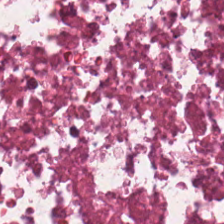Stain: hematoxylin and eosin.
Preparation: FFPE tissue section.
Predominant tissue: debris.
